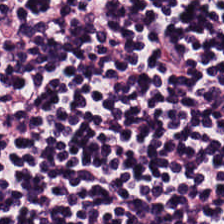Q: What tissue type is shown here?
A: This is lymphocyte aggregate.
